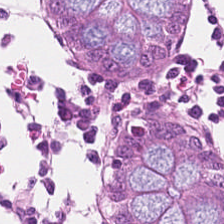H&E · 224×224 pixel tile. The tissue class is normal colonic mucosa.
